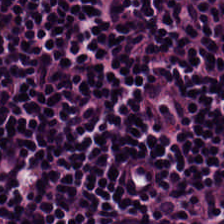H&E-stained tissue section. Whole-slide-image patch.
Classification: lymphoid infiltrate.
